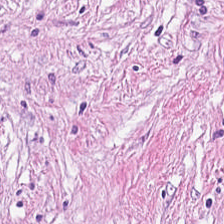Brightfield. H&E.
Tumor-associated stroma.
